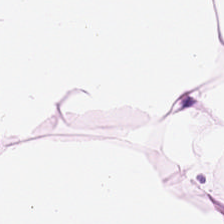Tissue: adipose.
